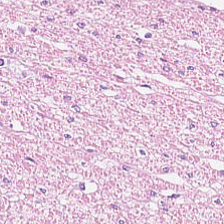Hematoxylin-and-eosin stained section; brightfield — {"tissue_type": "muscularis"}
